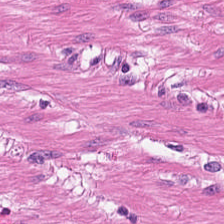Hematoxylin and eosin — The tissue here is muscularis.
